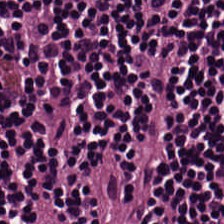Hematoxylin-and-eosin stained section — This field is lymphocytic infiltrate.
